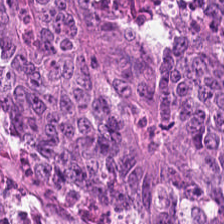H&E stain. FFPE tissue section. 224×224 px patch. Predominantly colorectal adenocarcinoma epithelium.
